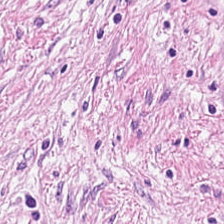Hematoxylin and eosin.
Histology — desmoplastic stroma.
